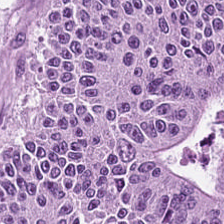Hematoxylin and eosin — Predominant tissue: colorectal adenocarcinoma epithelium.
